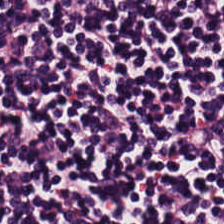Hematoxylin-and-eosin stained section — Predominantly lymphocytes.
